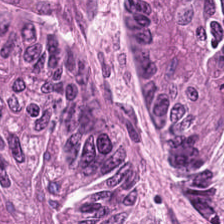The classification is tumor epithelium.
